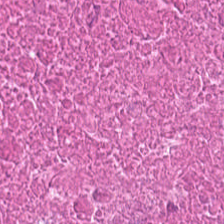Brightfield · FFPE · H&E stain.
The tissue type is necrotic debris.
